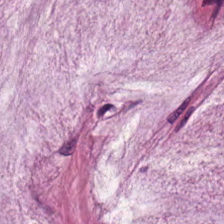Stain: hematoxylin and eosin.
Tissue: mucin.
